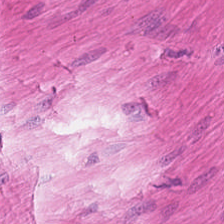H&E-stained tissue section. Tissue class — smooth-muscle tissue.
